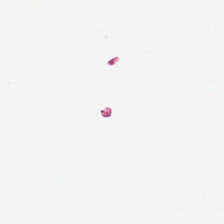Finding → empty background.
